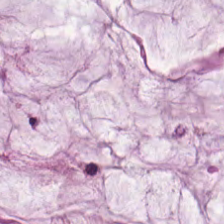20× equivalent magnification. 224×224 px tile. Hematoxylin-and-eosin stained section.
The predominant tissue is mucin.
